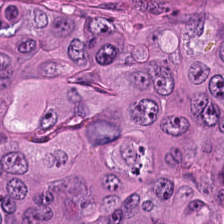Stain: H&E-stained tissue section.
Resolution: 0.5 µm/px.
Acquisition: brightfield microscopy.
Tissue type: adenocarcinoma.
